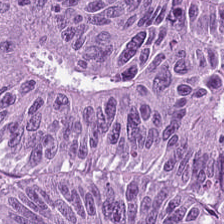Brightfield microscopy · hematoxylin-and-eosin stained section · formalin-fixed paraffin-embedded section.
Classification — colorectal adenocarcinoma epithelium.
